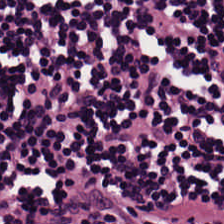Q: What does this patch show?
A: It is lymphoid infiltrate.
